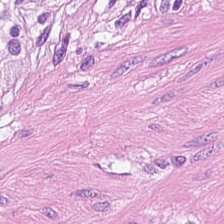FFPE tissue section. Brightfield microscopy. H&E stain.
Impression — smooth muscle.
